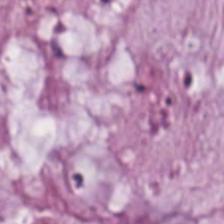H&E; FFPE tissue section. Finding — mucus.
